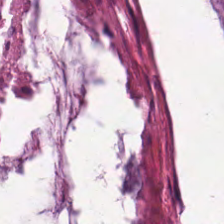H&E — {"tissue_type": "mucin"}
